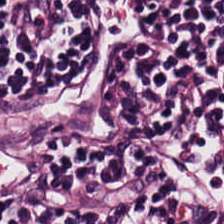224×224 px tile. FFPE tissue section. Hematoxylin and eosin.
Tissue — lymphoid infiltrate.
